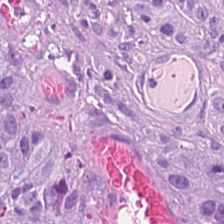Stain: hematoxylin-and-eosin stained section.
Resolution: 0.5 µm/px.
Tissue type: colorectal adenocarcinoma.
